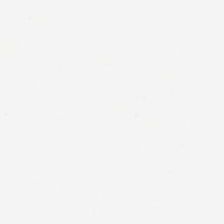Field content = no tissue.
